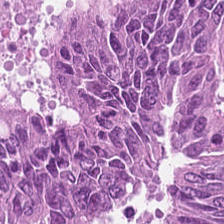Q: What does this patch show?
A: The field shows colorectal adenocarcinoma.
